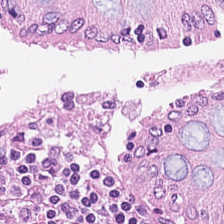Brightfield microscopy · H&E-stained tissue section · 224×224 pixel tile.
Q: Identify the tissue.
A: Benign colonic mucosa.
